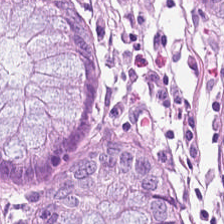0.5 microns per pixel; H&E; FFPE.
Tissue type: normal colonic mucosa.
